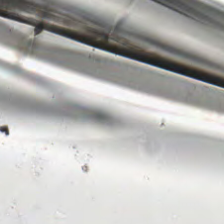H&E-stained tissue section; brightfield. The classification is no tissue.
